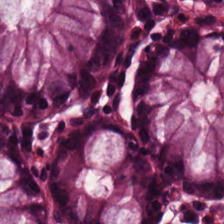Stain: H&E stain.
Predominant tissue: normal colonic mucosa.
